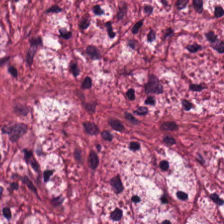Q: Classify this patch.
A: It is tumor-associated stroma.
